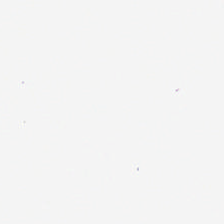Background (no tissue).
